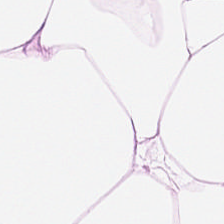H&E stain · 224×224 px tile — Q: What is shown here?
A: Adipose tissue.
